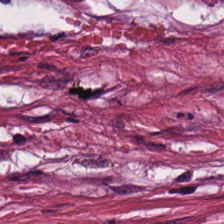Stain: H&E.
Tissue: desmoplastic stroma.
